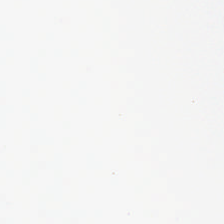Stain: H&E.
Classification: background.
